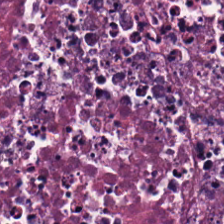H&E-stained tissue section. Q: Identify the tissue.
A: The field shows cellular debris.
